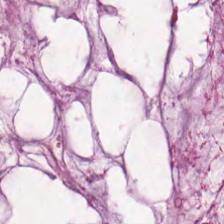H&E stain — Predominant tissue = mucin.
